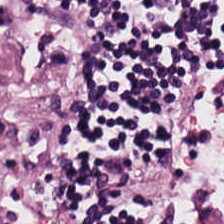{"tissue_type": "lymphoid infiltrate"}
